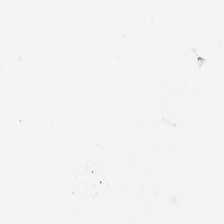Impression — empty background.
